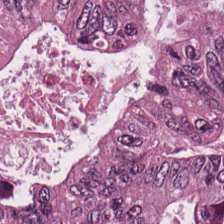Stain: hematoxylin-and-eosin stained section.
Tissue type: colorectal adenocarcinoma epithelium.
